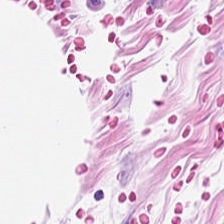Stain: H&E.
Classification: adipocytes.
